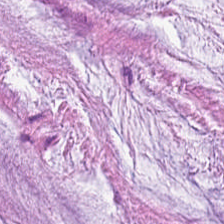Histology → mucus.
